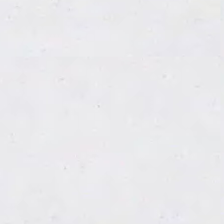H&E stain — Field content: empty background.
